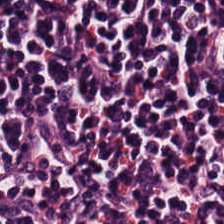H&E · FFPE tissue section · brightfield — Showing lymphoid infiltrate.
